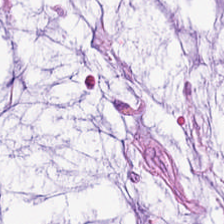H&E. Tissue type = mucin.
